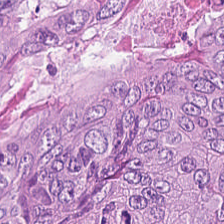Brightfield microscopy; 0.5 µm per pixel; H&E stain — Tumor epithelium.
